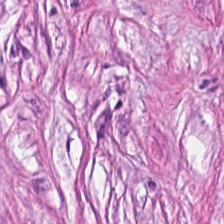Hematoxylin and eosin — Histology — tumor stroma.
